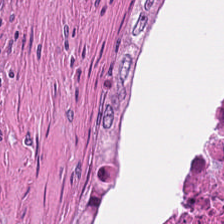Hematoxylin and eosin — Cellular debris.
